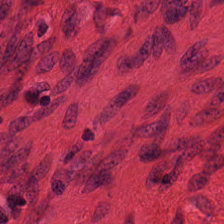224×224 pixel tile. Hematoxylin-and-eosin stained section. Impression → smooth muscle.
